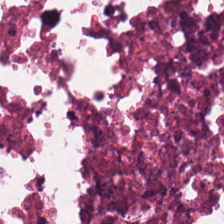Cellular debris.
